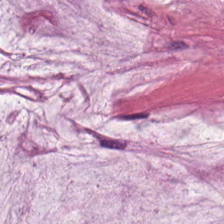Hematoxylin-and-eosin stained section.
The tissue here is mucus.
